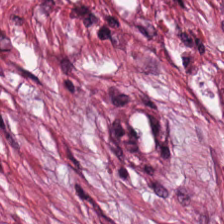Stain: hematoxylin-and-eosin stained section.
Acquisition: brightfield.
Classification: cancer-associated stroma.
